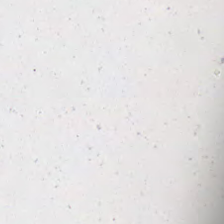Stain: hematoxylin and eosin.
Classification: empty background.
